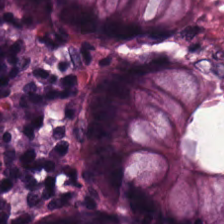Hematoxylin-and-eosin stained section.
Predominantly non-neoplastic colon mucosa.
